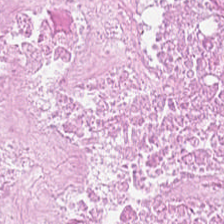H&E; WSI patch; 224×224 px tile.
Tissue class: debris.
